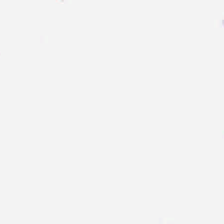Stain: hematoxylin and eosin.
Resolution: 0.5 µm/px.
Tile size: 224×224 pixel tile.
Classification: background (no tissue).
